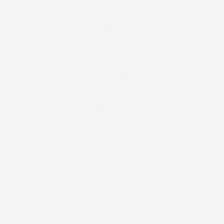Q: What does this patch show?
A: The field shows background (no tissue).
